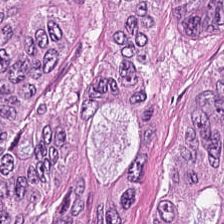WSI patch; FFPE; H&E-stained tissue section. The tissue type is adenocarcinoma.
